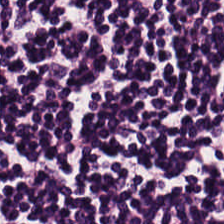Hematoxylin and eosin.
Tissue class: lymphoid infiltrate.
